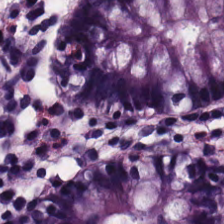H&E · brightfield microscopy. Histology — normal colonic mucosa.
